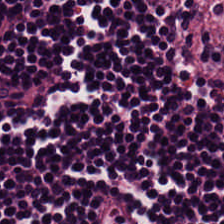224×224 px patch · H&E-stained tissue section. This patch shows lymphocyte aggregate.
